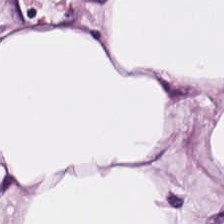Hematoxylin and eosin.
Predominant tissue: adipose.
